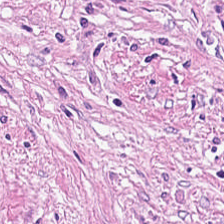WSI patch; H&E stain; 224×224 px tile. The tissue type is cancer-associated stroma.
